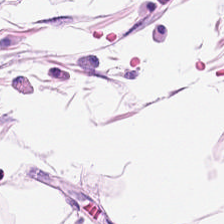Stain: H&E.
Resolution: 0.5 microns per pixel.
Tissue type: adipose tissue.
